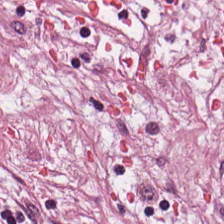Hematoxylin and eosin — {"tissue_type": "cancer-associated stroma"}
